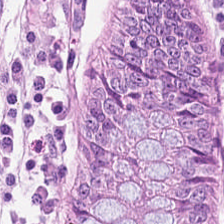Stain: hematoxylin-and-eosin stained section.
Resolution: 0.5 microns per pixel.
Tile size: 224×224 pixel tile.
Tissue: benign colonic mucosa.
